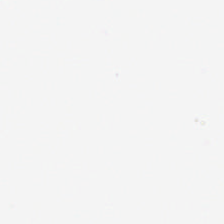0.5 µm/px. Hematoxylin-and-eosin stained section.
The classification is empty background.
